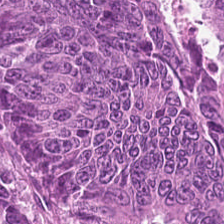Hematoxylin-and-eosin stained section. Formalin-fixed paraffin-embedded section. Whole-slide-image patch — Q: What does this patch show?
A: Tumor epithelium.
